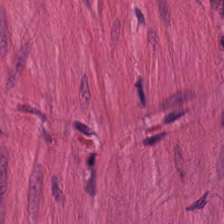Hematoxylin-and-eosin stained section. Q: Identify the tissue.
A: It is muscularis.
